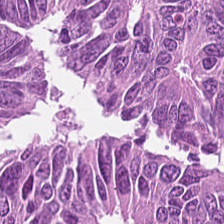H&E stain — Q: What is the predominant tissue type?
A: Adenocarcinoma.
